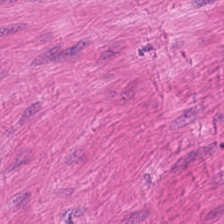Whole-slide-image patch; H&E-stained tissue section; 224×224 px patch — Tissue — smooth muscle.
